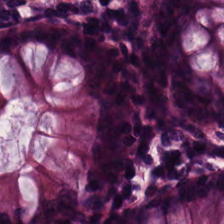FFPE tissue section; H&E. Showing normal colonic mucosa.
